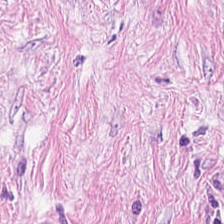The tissue here is desmoplastic stroma.
